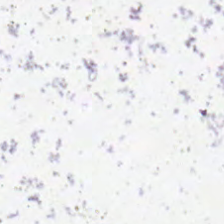Finding → background.
